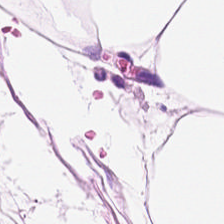Impression → adipose.
